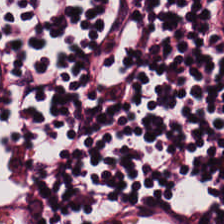Stain: hematoxylin-and-eosin stained section.
Classification: lymphocytic infiltrate.
